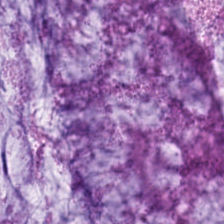Hematoxylin and eosin. Brightfield.
The tissue here is mucus.
